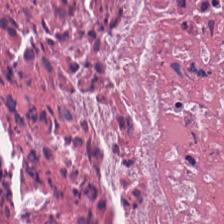H&E; brightfield microscopy.
Tissue class — cellular debris.
